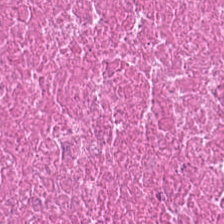Stain: hematoxylin-and-eosin stained section.
Resolution: 0.5 microns per pixel.
Tissue class: necrotic debris.
